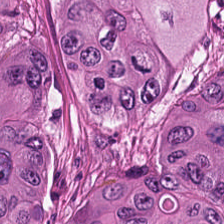Showing colorectal adenocarcinoma epithelium.
